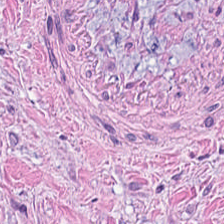0.5 µm per pixel · hematoxylin and eosin — Q: Classify this patch.
A: Cancer-associated stroma.
